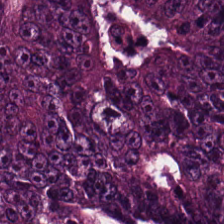Tissue — tumor epithelium.
